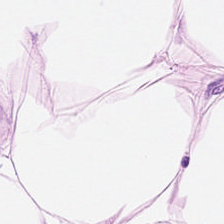Q: What is shown here?
A: The field shows adipose tissue.
